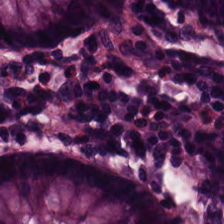FFPE tissue section; H&E stain — Predominant tissue: benign colonic mucosa.
